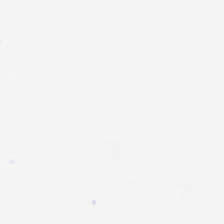Field content — empty background.
